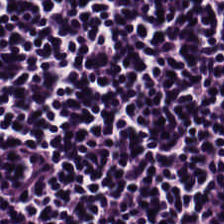H&E stain. Tissue type: lymphocytes.
